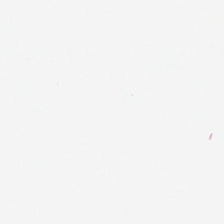Hematoxylin-and-eosin stained section — The content is empty background.
